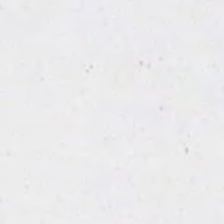H&E-stained tissue section — This field is background (no tissue).
